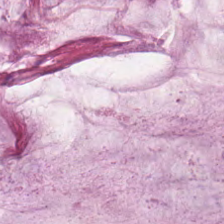H&E. {"tissue_type": "mucus"}
